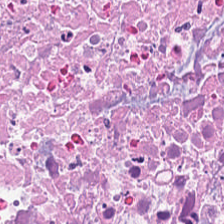H&E stain. The tissue here is necrotic debris.
